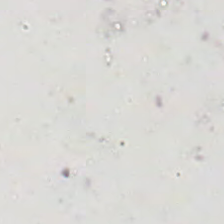Histology → background (no tissue).
